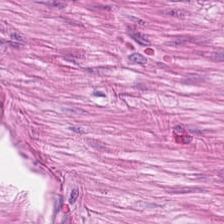H&E stain.
Showing smooth muscle.
